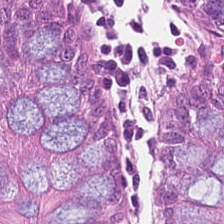H&E-stained tissue section — The classification is benign colonic mucosa.
